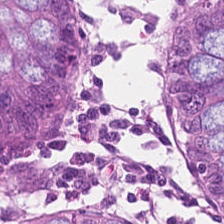H&E stain. Predominantly normal colon mucosa.
